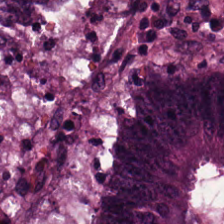Hematoxylin-and-eosin stained section. Finding → colorectal adenocarcinoma.
